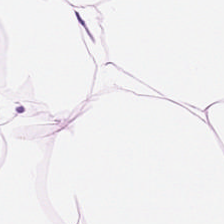Stain: H&E-stained tissue section.
Predominant tissue: adipose tissue.
